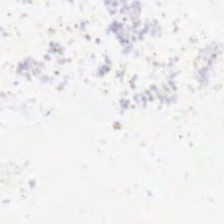Hematoxylin-and-eosin stained section; FFPE tissue section; 224×224 px patch.
Background — no tissue in this field.
